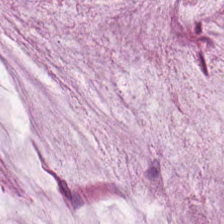The tissue here is mucus.
